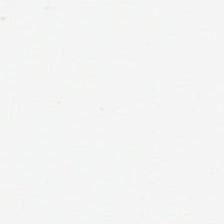This patch shows empty background.
